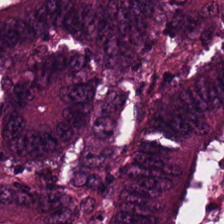H&E stain. Brightfield microscopy. This patch shows colorectal adenocarcinoma.
